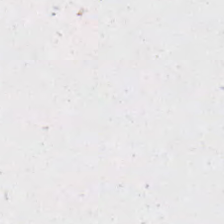Whole-slide-image patch. H&E-stained tissue section. Background — no tissue in this field.
